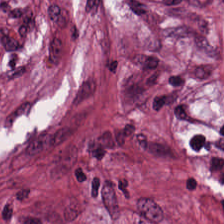0.5 µm/px. Hematoxylin and eosin. FFPE. Tissue class = tumor-associated stroma.
